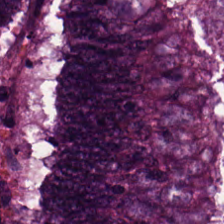FFPE; hematoxylin-and-eosin stained section.
Finding → malignant epithelium.
